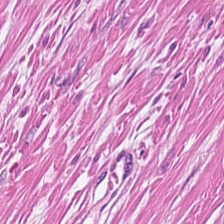224×224 px tile. H&E. The tissue is muscularis.
